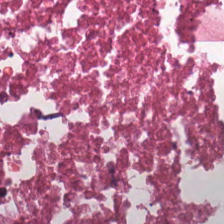Stain: H&E stain.
Preparation: formalin-fixed paraffin-embedded section.
Tile size: 224×224 pixel tile.
Tissue: debris.
